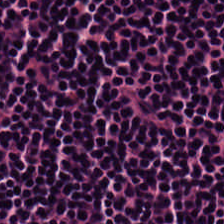H&E-stained tissue section — Q: What type of tissue is this?
A: This is lymphocyte aggregate.
